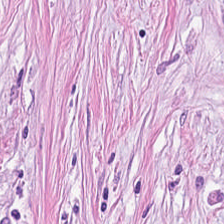{"tissue_type": "desmoplastic stroma"}
